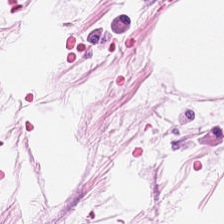Adipocytes.
